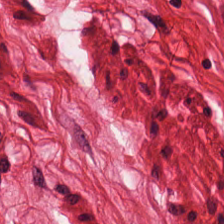Stain: H&E.
Resolution: 0.5 microns per pixel.
Classification: smooth muscle.
